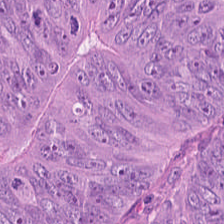Whole-slide-image patch. H&E-stained tissue section.
Showing malignant epithelium.
